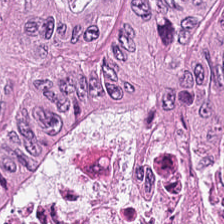Hematoxylin-and-eosin stained section — Tissue — adenocarcinoma.
